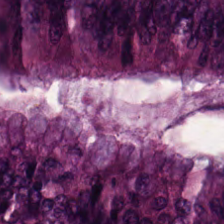H&E stain — This patch shows malignant epithelium.
